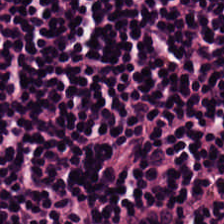Predominant tissue: lymphocytic infiltrate.
